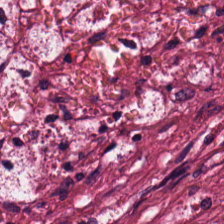{"tissue_type": "desmoplastic stroma"}
